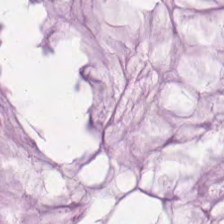224×224 pixel tile; H&E stain. Q: Identify the tissue.
A: It is mucin.
